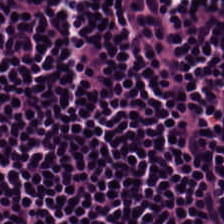Hematoxylin and eosin · brightfield — {"tissue_type": "lymphocytes"}
